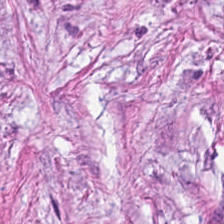H&E stain · 224×224 pixel tile. Q: What is shown here?
A: This is tumor stroma.
